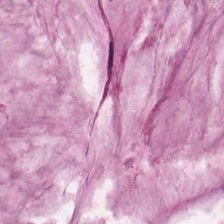H&E — Showing extracellular mucin.
